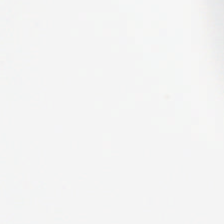Q: What is shown here?
A: This is background.
